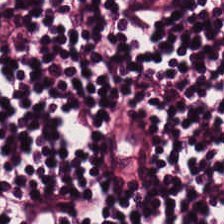Stain: hematoxylin and eosin.
Tissue class: lymphocyte aggregate.
